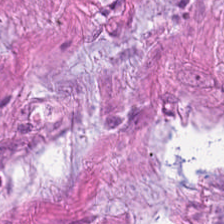Whole-slide-image patch; H&E — Q: What type of tissue is this?
A: It is smooth-muscle tissue.
